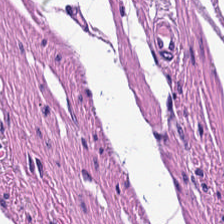Hematoxylin and eosin; brightfield microscopy.
This patch shows smooth-muscle tissue.
